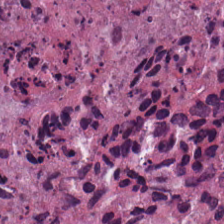20× equivalent magnification. H&E. 224×224 pixel tile. Q: What type of tissue is this?
A: The field shows necrotic debris.
